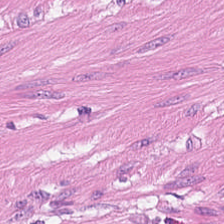H&E stain. FFPE. Tissue = muscularis.
